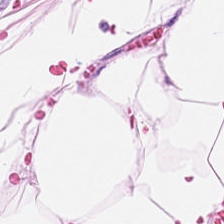H&E stain; 0.5 µm/px.
{"tissue_type": "adipose"}
